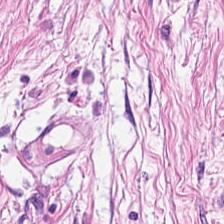H&E-stained tissue section. Q: What is the predominant tissue type?
A: It is tumor-associated stroma.
